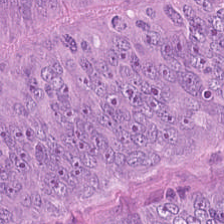H&E-stained tissue section.
Classification — adenocarcinoma.
